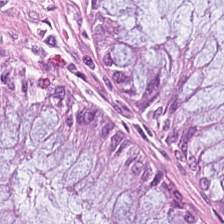Formalin-fixed paraffin-embedded section; H&E. The tissue here is normal colonic mucosa.
